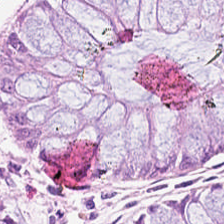Stain: hematoxylin and eosin.
Tissue class: benign colonic mucosa.
